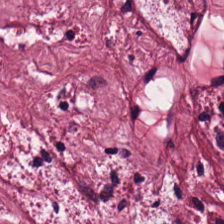224×224 px tile · H&E-stained tissue section — Tissue class = tumor stroma.
